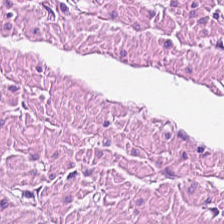FFPE tissue section; 224×224 px patch; H&E-stained tissue section — Q: What type of tissue is this?
A: Smooth muscle.
